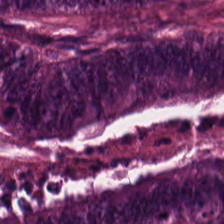Q: What is the predominant tissue type?
A: The field shows tumor epithelium.
